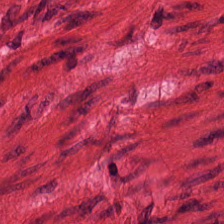Stain: H&E stain.
Classification: smooth-muscle tissue.
